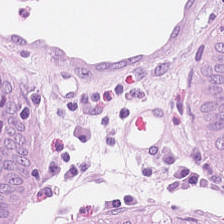H&E-stained section; the field shows non-neoplastic colon mucosa.
